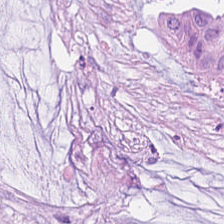Hematoxylin and eosin. Brightfield. This patch shows extracellular mucin.
